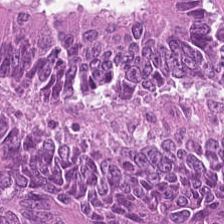H&E stain.
Tissue class: colorectal adenocarcinoma epithelium.
